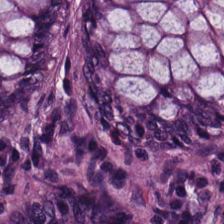H&E stain — This patch shows normal colonic mucosa.
